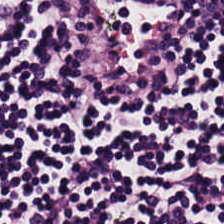Stain: H&E-stained tissue section.
Acquisition: WSI patch.
Tissue class: lymphoid infiltrate.
